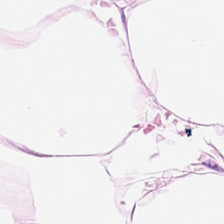Hematoxylin and eosin. Tissue = adipose tissue.
